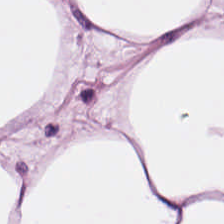Hematoxylin-and-eosin stained section. Tissue class — adipose tissue.
